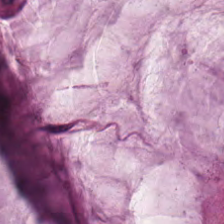H&E-stained tissue section; WSI patch — Showing mucus.
